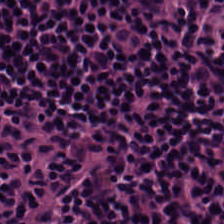H&E.
Q: What is shown in this field?
A: It is lymphocytes.
